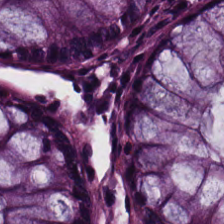Stain: H&E.
Tissue class: normal colon mucosa.
